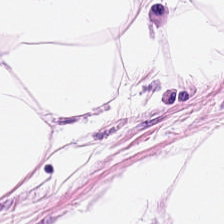H&E-stained tissue section.
The tissue class is adipose tissue.
